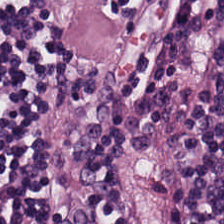Hematoxylin and eosin — This patch shows lymphocyte aggregate.
